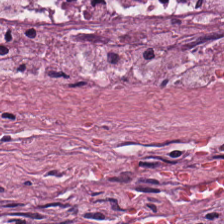Hematoxylin and eosin. Predominantly tumor stroma.
